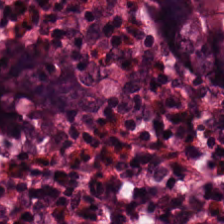0.5 µm per pixel; H&E stain; FFPE tissue section.
Q: What does this patch show?
A: This is normal colon mucosa.
